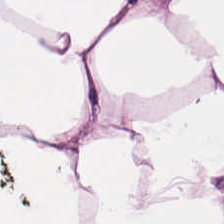FFPE. H&E-stained tissue section. Brightfield — Tissue: adipocytes.
